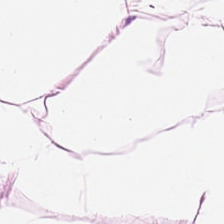H&E. The tissue here is adipose.
